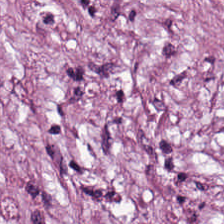The predominant tissue is tumor stroma.
